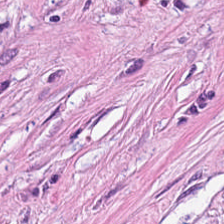FFPE tissue section. 0.5 microns per pixel. H&E-stained tissue section.
Tissue type — tumor stroma.
